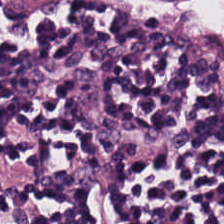0.5 microns per pixel; H&E stain.
Impression → lymphocytes.
